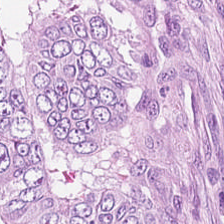H&E; FFPE tissue section — Tissue = malignant epithelium.
